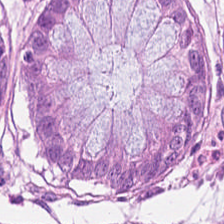FFPE. Whole-slide-image patch. H&E. Q: What is the predominant tissue type?
A: Normal colonic mucosa.
